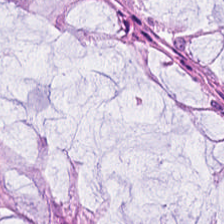Finding — normal colon mucosa.
